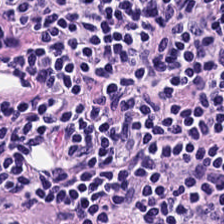Hematoxylin-and-eosin stained section.
Q: What type of tissue is this?
A: Lymphocyte aggregate.
